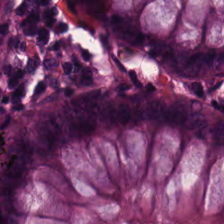Formalin-fixed paraffin-embedded section · hematoxylin-and-eosin stained section · 0.5 µm/px.
Impression — normal colonic mucosa.
